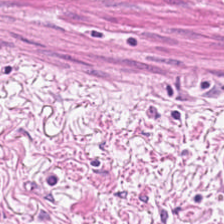Formalin-fixed paraffin-embedded section. Hematoxylin and eosin. 0.5 µm/px. Muscularis.
